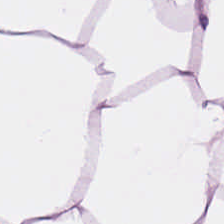Hematoxylin-and-eosin stained section — This field is fat tissue.
